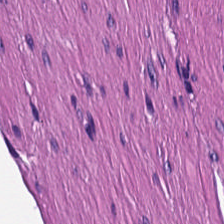H&E · 0.5 microns per pixel.
This patch shows smooth-muscle tissue.
